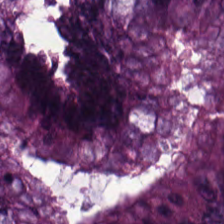Formalin-fixed paraffin-embedded section. H&E-stained tissue section. Q: What type of tissue is this?
A: Colorectal adenocarcinoma epithelium.
